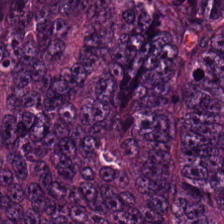Tumor epithelium.
